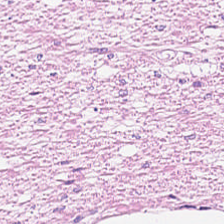H&E-stained tissue section. The predominant tissue is smooth muscle.
